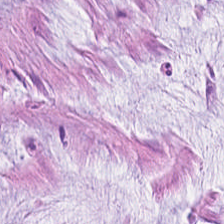Classification — mucin.
